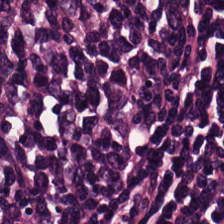H&E-stained tissue section.
This patch shows lymphocytes.
